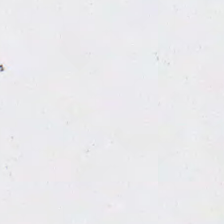H&E. Content = empty background.
